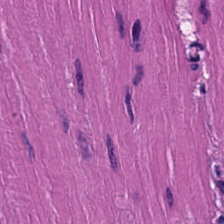H&E stain.
The predominant tissue is smooth muscle.
